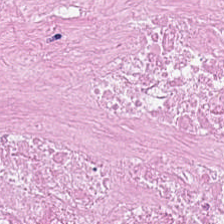Brightfield; H&E-stained tissue section; 224×224 px patch.
Q: What is shown here?
A: The field shows cellular debris.
